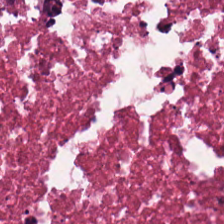Impression — necrotic debris.
